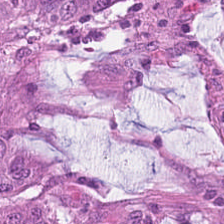{"tissue_type": "adenocarcinoma"}
